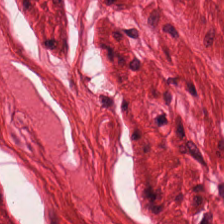H&E-stained tissue section.
This patch shows smooth-muscle tissue.
